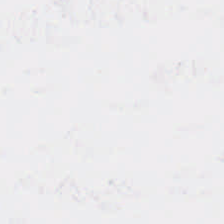Stain: H&E.
Content: empty background.
